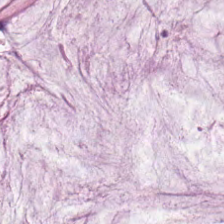H&E; 0.5 µm per pixel; FFPE.
The tissue type is mucin.
